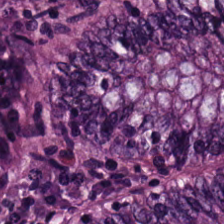This patch shows benign colonic mucosa.
